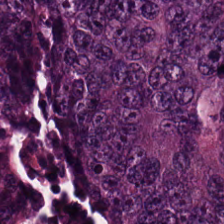Formalin-fixed paraffin-embedded section. Hematoxylin and eosin.
Predominantly malignant epithelium.
